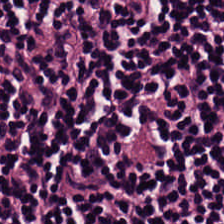H&E stain — Q: What tissue type is shown here?
A: The field shows lymphocytic infiltrate.
